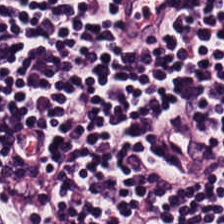FFPE tissue section. 224×224 pixel tile. H&E-stained tissue section — Predominant tissue — lymphocytes.
